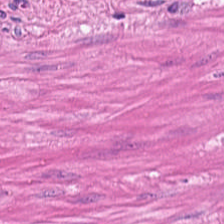Hematoxylin-and-eosin stained section. 0.5 µm per pixel — Classification — muscularis.
